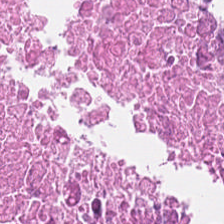224×224 px patch · H&E-stained tissue section · brightfield. Q: Identify the tissue.
A: This is necrotic debris.
